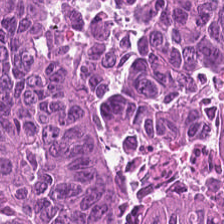H&E-stained tissue section.
Predominant tissue — tumor epithelium.
